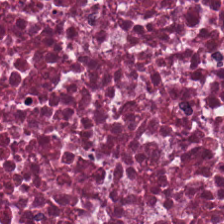224×224 px patch; H&E.
Q: What does this patch show?
A: The field shows necrotic debris.
